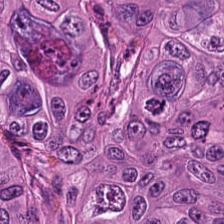H&E · FFPE tissue section · 0.5 µm per pixel.
Classification — colorectal adenocarcinoma.
